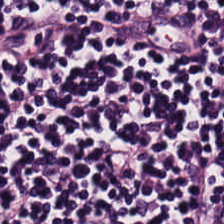H&E · 224×224 pixel tile · 0.5 µm per pixel.
Predominantly lymphoid infiltrate.
